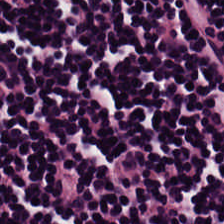FFPE tissue section · hematoxylin and eosin — Lymphoid infiltrate.
